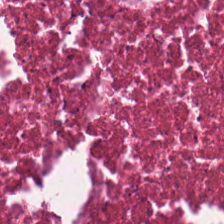Whole-slide-image patch; H&E; 0.5 µm per pixel. Impression — debris.
